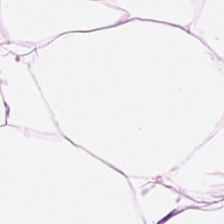Predominantly adipocytes.
